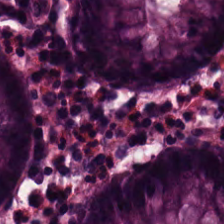Stain: H&E stain.
Preparation: FFPE.
Classification: normal colon mucosa.
